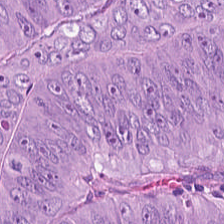H&E — colorectal adenocarcinoma.
